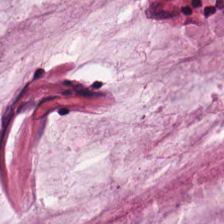H&E-stained tissue section showing extracellular mucin.
